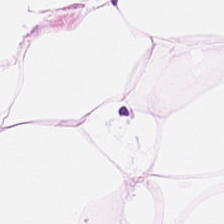Stain: H&E-stained tissue section.
Preparation: FFPE tissue section.
Predominant tissue: adipose tissue.
